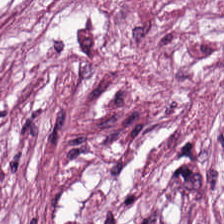Stain: H&E-stained tissue section.
Resolution: 0.5 µm/px.
Preparation: FFPE.
Classification: tumor-associated stroma.
